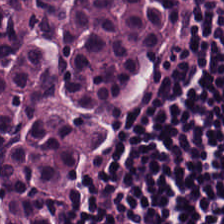Brightfield microscopy · H&E · 0.5 µm per pixel.
Q: Classify this patch.
A: Lymphocytic infiltrate.
